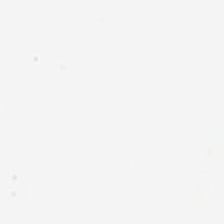Hematoxylin and eosin · WSI patch.
Content — empty background.
